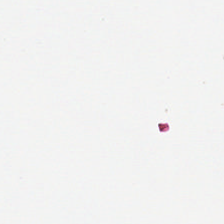224×224 pixel tile. Hematoxylin-and-eosin stained section. Histology — background (no tissue).
